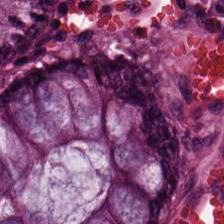Whole-slide-image patch; FFPE; H&E stain. Classification: non-neoplastic colon mucosa.
